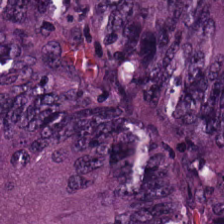H&E; 224×224 px tile; WSI patch. The tissue class is malignant epithelium.
